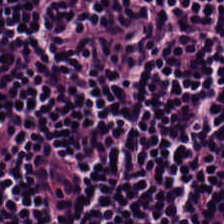This field is lymphocytes.
